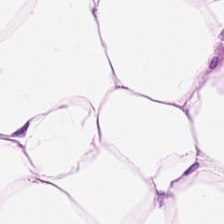224×224 px patch. H&E. 0.5 µm/px.
The predominant tissue is fat tissue.
